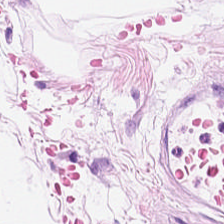H&E-stained tissue section.
Q: What tissue is shown?
A: This is fat tissue.
